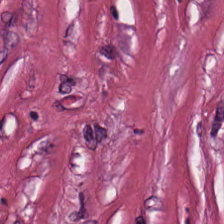H&E stain. Formalin-fixed paraffin-embedded section — Cancer-associated stroma.
